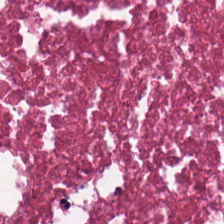Q: What is shown here?
A: Cellular debris.
